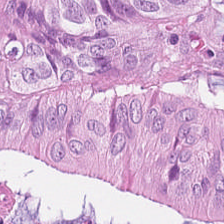H&E stain — The predominant tissue is malignant epithelium.
